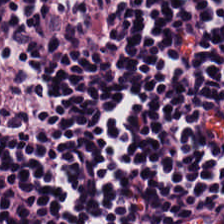Hematoxylin and eosin. Q: What tissue type is shown here?
A: It is lymphocyte aggregate.
